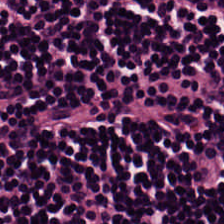Q: What is shown here?
A: This is lymphoid infiltrate.
